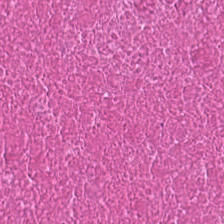H&E patch showing necrotic debris.
